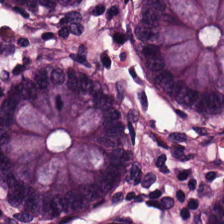224×224 pixel tile · brightfield · H&E stain — This patch shows benign colonic mucosa.
